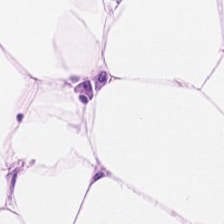Histology → adipocytes.
